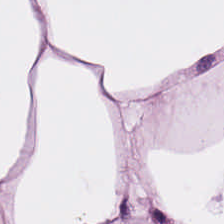H&E; 224×224 px patch — The predominant tissue is adipocytes.
